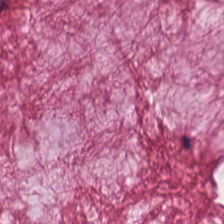H&E-stained tissue section. This field is extracellular mucin.
